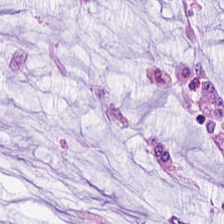Stain: hematoxylin and eosin.
Resolution: 20× equivalent magnification.
Acquisition: WSI patch.
Tissue: mucin.
